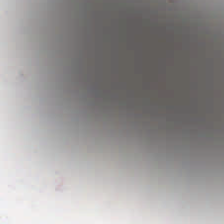H&E — Background (no tissue).
